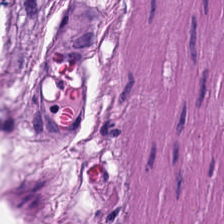Hematoxylin and eosin — Predominantly muscularis.
